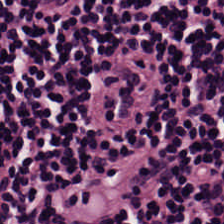FFPE. WSI patch. Hematoxylin and eosin.
Lymphocyte aggregate.
